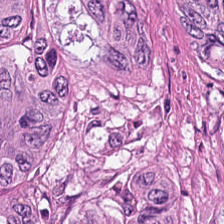Hematoxylin and eosin.
This field is adenocarcinoma.
